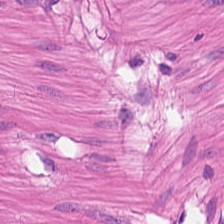FFPE; hematoxylin and eosin — The tissue class is muscularis.
